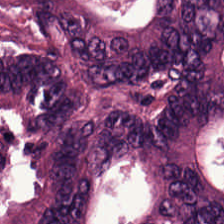H&E — Q: What is shown in this field?
A: The field shows tumor epithelium.
